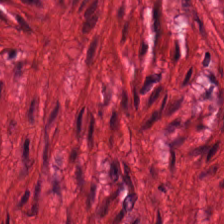Hematoxylin and eosin.
Q: What is shown here?
A: The field shows smooth muscle.
